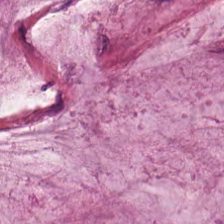Hematoxylin-and-eosin stained section — The predominant tissue is mucus.
